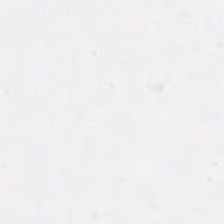H&E-stained tissue section. This patch shows empty background.
